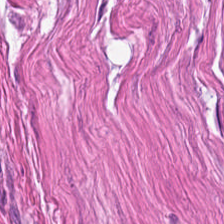Stain: H&E-stained tissue section.
Acquisition: brightfield.
Tissue class: smooth-muscle tissue.
